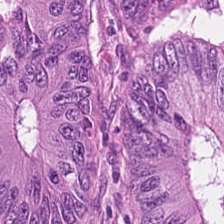Stain: hematoxylin-and-eosin stained section.
Predominant tissue: tumor epithelium.
